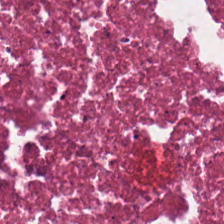Whole-slide-image patch; hematoxylin-and-eosin stained section — The tissue here is cellular debris.
